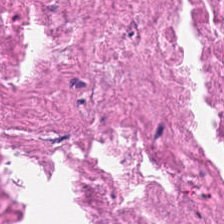Hematoxylin and eosin. Q: What type of tissue is this?
A: It is necrotic debris.
